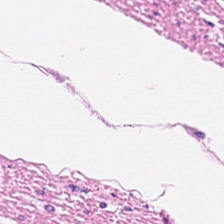Histology → muscularis.
